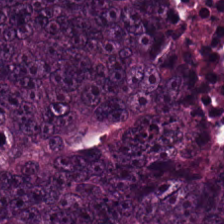20× equivalent magnification · hematoxylin and eosin · FFPE.
The classification is colorectal adenocarcinoma epithelium.
